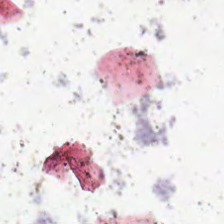Whole-slide-image patch. H&E-stained tissue section. No tissue present; background only.
